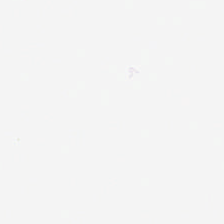H&E. This patch shows no tissue.
